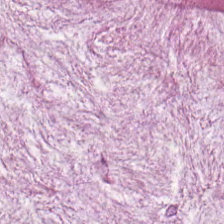Tissue type = mucin.
